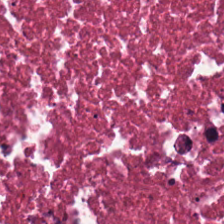Stain: H&E stain.
Preparation: FFPE.
Resolution: 20× equivalent magnification.
Tissue type: debris.
